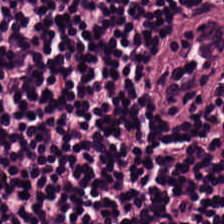0.5 microns per pixel · H&E. Q: What tissue is shown?
A: This is lymphocyte aggregate.
